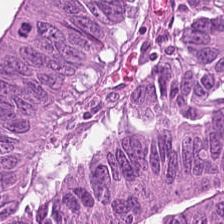Stain: hematoxylin and eosin.
Acquisition: brightfield microscopy.
Resolution: 0.5 microns per pixel.
Tissue class: colorectal adenocarcinoma.
